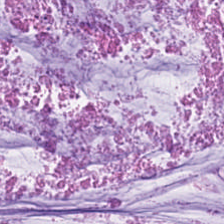Hematoxylin-and-eosin stained section; FFPE tissue section; 224×224 pixel tile. Histology → mucus.
